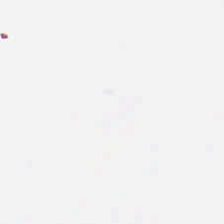224×224 pixel tile. H&E stain.
{"content": "no tissue"}
